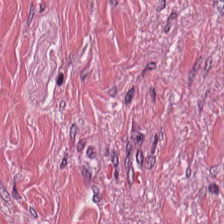Whole-slide-image patch; 224×224 px tile; hematoxylin-and-eosin stained section — Tissue type — desmoplastic stroma.
